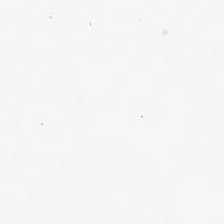H&E-stained tissue section; 20× equivalent magnification — Q: Classify this patch.
A: Background.
